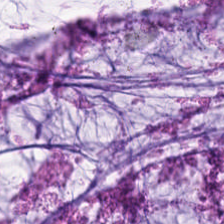Q: Identify the tissue.
A: It is mucin.
